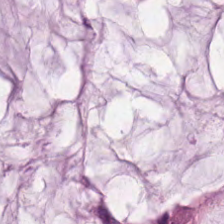Finding — extracellular mucin.
